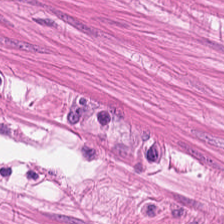Stain: hematoxylin-and-eosin stained section.
Resolution: 20× equivalent magnification.
Tissue type: muscularis.
